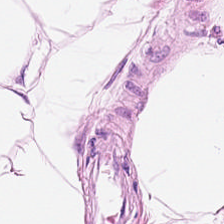Hematoxylin-and-eosin stained section. 224×224 px patch.
The tissue here is adipose.
